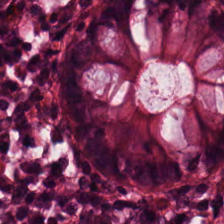Predominant tissue = benign colonic mucosa.
